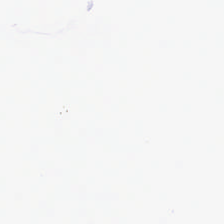Hematoxylin-and-eosin stained section; 224×224 px patch — Finding — empty background.
